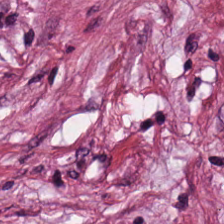Hematoxylin-and-eosin stained section. Showing desmoplastic stroma.
